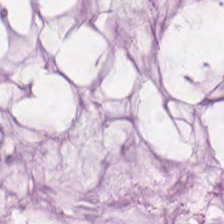H&E — The predominant tissue is mucus.
